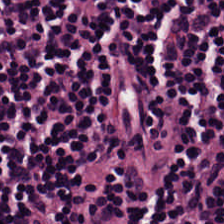Hematoxylin-and-eosin stained section. Q: Identify the tissue.
A: This is lymphocytes.
